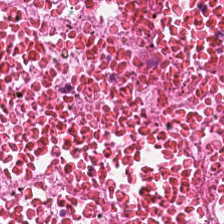Q: What is shown in this field?
A: Cellular debris.
